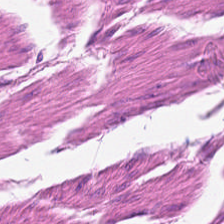Hematoxylin-and-eosin stained section.
The tissue type is smooth muscle.
